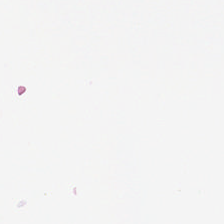Q: What is shown here?
A: The field shows background.
